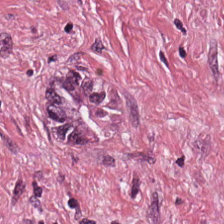H&E-stained tissue section; WSI patch; FFPE tissue section.
Q: What is the predominant tissue type?
A: The field shows cancer-associated stroma.
